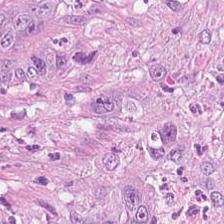Hematoxylin-and-eosin stained section; WSI patch. The tissue type is colorectal adenocarcinoma epithelium.
